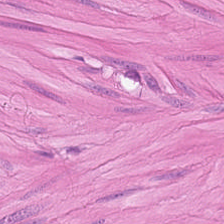The tissue here is smooth muscle.
